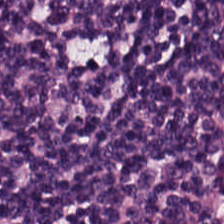H&E — Showing lymphocytes.
